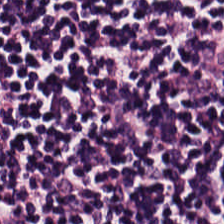Stain: H&E.
Acquisition: brightfield microscopy.
Tissue: lymphocytes.
